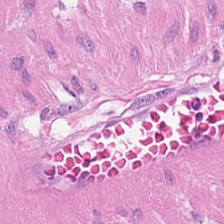Brightfield. H&E stain.
Q: What type of tissue is this?
A: It is muscularis.
